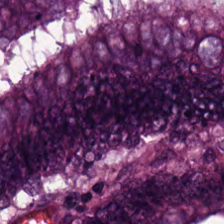H&E stain. Tumor epithelium.
